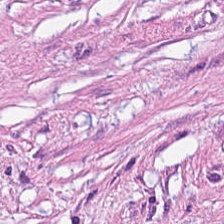Hematoxylin and eosin.
Q: Classify this patch.
A: This is cancer-associated stroma.
